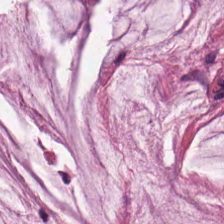Hematoxylin-and-eosin stained section — The tissue class is extracellular mucin.
